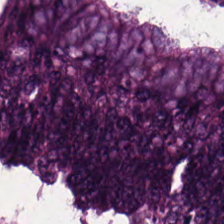Hematoxylin-and-eosin stained section. Predominant tissue = tumor epithelium.
